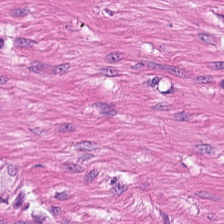Tissue class: smooth muscle.
